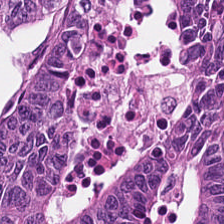Stain: H&E.
Tissue type: tumor epithelium.
